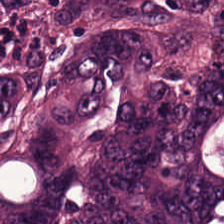H&E stain.
The tissue class is colorectal adenocarcinoma epithelium.
